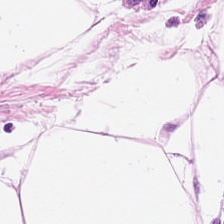Hematoxylin-and-eosin stained section — Finding — adipose tissue.
